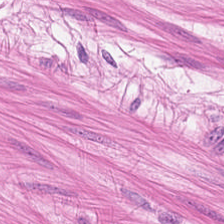H&E stain — Q: What is shown here?
A: Smooth-muscle tissue.
